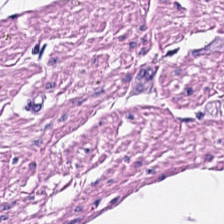224×224 px tile · hematoxylin and eosin · 20× equivalent magnification — Impression → muscularis.
